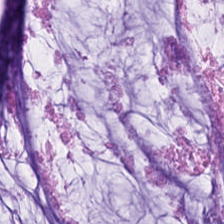Hematoxylin and eosin · 20× equivalent magnification. The predominant tissue is mucin.
